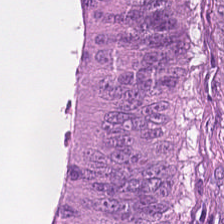0.5 µm/px. Hematoxylin and eosin. The tissue class is colorectal adenocarcinoma epithelium.
